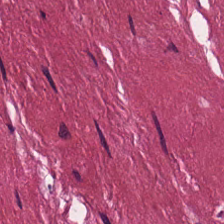H&E-stained tissue section · FFPE tissue section · WSI patch — The predominant tissue is cancer-associated stroma.
